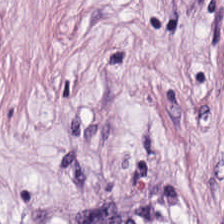0.5 µm per pixel. H&E stain — Finding — tumor stroma.
